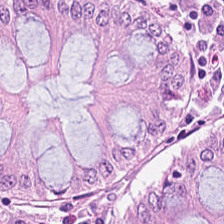0.5 µm/px; WSI patch; hematoxylin-and-eosin stained section. Tissue class: normal colonic mucosa.
